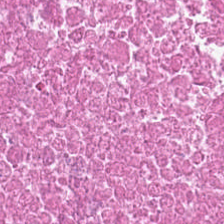Predominant tissue = cellular debris.
